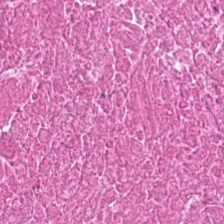H&E. FFPE — Tissue class — cellular debris.
